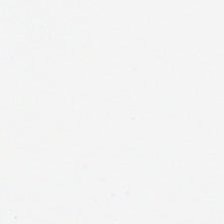Stain: H&E stain.
Classification: background.
